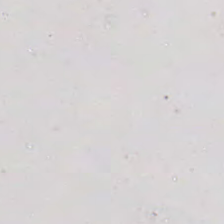Hematoxylin-and-eosin stained section.
Histology — background (no tissue).
